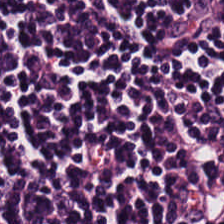Brightfield microscopy. FFPE tissue section. Hematoxylin-and-eosin stained section.
Q: Identify the tissue.
A: Lymphocytic infiltrate.
